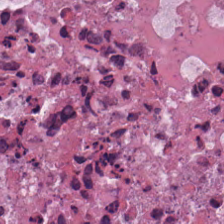The tissue class is necrotic debris.
